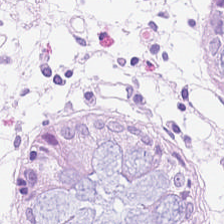H&E — Predominant tissue: normal colonic mucosa.
